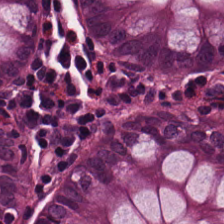H&E-stained tissue section · 0.5 µm/px. {"tissue_type": "benign colonic mucosa"}
